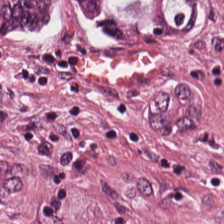H&E stain · 0.5 µm per pixel. This patch shows colorectal adenocarcinoma epithelium.
